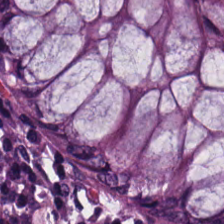Stain: H&E-stained tissue section.
Resolution: 0.5 microns per pixel.
Preparation: FFPE tissue section.
Tissue: benign colonic mucosa.
